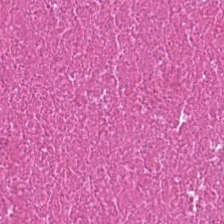Predominant tissue — cellular debris.
